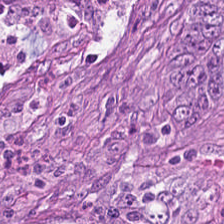Formalin-fixed paraffin-embedded section · hematoxylin and eosin.
Colorectal adenocarcinoma.
